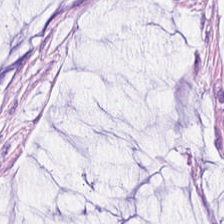This patch shows extracellular mucin.
